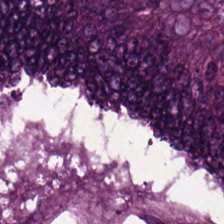Brightfield · hematoxylin and eosin.
{"tissue_type": "colorectal adenocarcinoma epithelium"}
